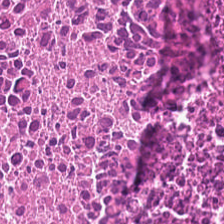Hematoxylin-and-eosin stained section; 0.5 µm per pixel. Q: What does this patch show?
A: Necrotic debris.
